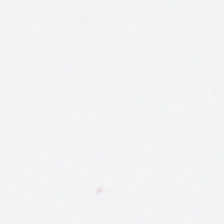H&E · whole-slide-image patch.
Q: Classify this patch.
A: This is no tissue.
